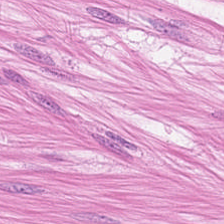H&E-stained tissue section; 0.5 µm/px; whole-slide-image patch.
Q: What tissue type is shown here?
A: This is muscularis.
